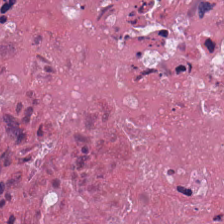The tissue here is cellular debris.
